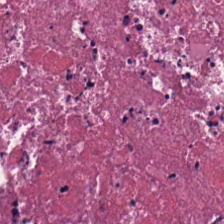Tissue type — cellular debris.
